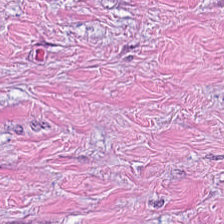0.5 microns per pixel · H&E-stained tissue section · formalin-fixed paraffin-embedded section — The tissue here is tumor stroma.
